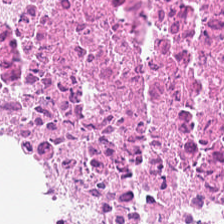Stain: hematoxylin and eosin.
Classification: debris.
